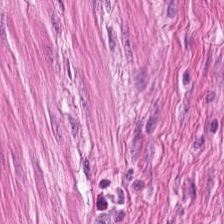Q: What tissue is shown?
A: The field shows smooth muscle.
